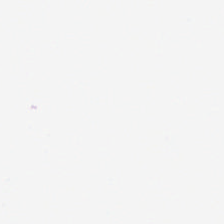H&E — Content — background (no tissue).
